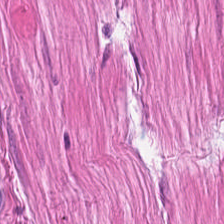Brightfield microscopy · hematoxylin-and-eosin stained section — This field is smooth muscle.
